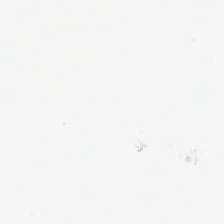H&E-stained tissue section. 224×224 px tile. WSI patch. Empty field — background (no tissue).
